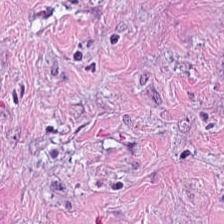Stain: H&E.
Resolution: 0.5 µm per pixel.
Tissue type: tumor stroma.
